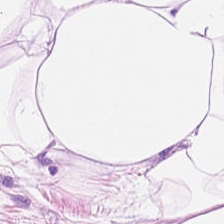224×224 px patch · hematoxylin and eosin · WSI patch — Adipose tissue.
